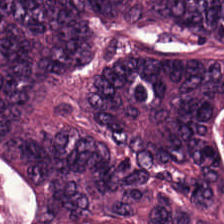0.5 µm/px. H&E-stained tissue section — Finding — tumor epithelium.
